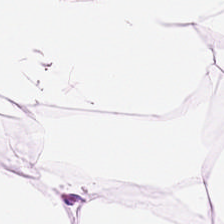0.5 microns per pixel · H&E-stained tissue section.
{"tissue_type": "fat tissue"}
